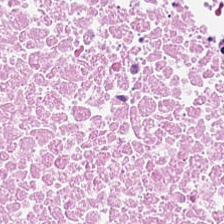H&E stain · 0.5 µm per pixel.
Q: Identify the tissue.
A: The field shows cellular debris.
